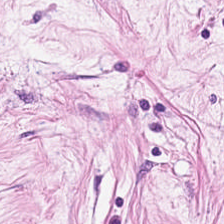Classification — desmoplastic stroma.
